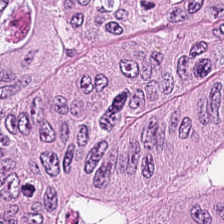H&E stain · 0.5 microns per pixel. Colorectal adenocarcinoma.
